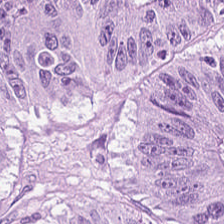Classification — colorectal adenocarcinoma epithelium.
